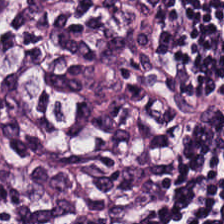H&E stain — This field is lymphocyte aggregate.
